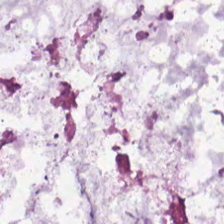H&E · formalin-fixed paraffin-embedded section · 224×224 pixel tile.
This patch shows extracellular mucin.
